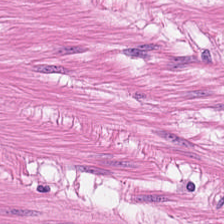H&E stain. 0.5 microns per pixel — The predominant tissue is muscularis.
